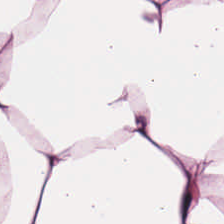Stain: H&E.
Predominant tissue: adipose tissue.
